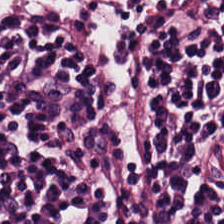H&E — Q: Classify this patch.
A: It is lymphocytes.
